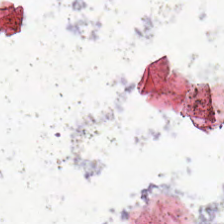Hematoxylin and eosin.
Classification — background (no tissue).
